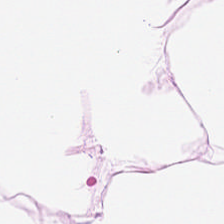Finding — adipose.
